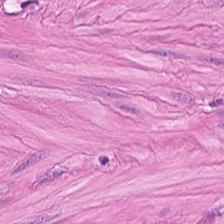Tissue — smooth muscle.
